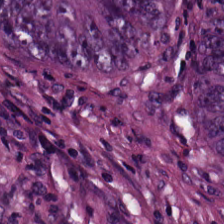H&E-stained tissue section · 224×224 px tile — Finding → malignant epithelium.
